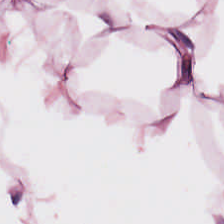H&E stain. Histology → adipose.
